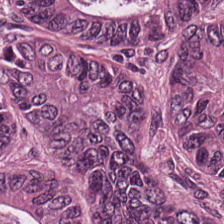Hematoxylin and eosin. The tissue here is tumor epithelium.
